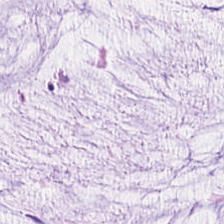20× equivalent magnification; H&E stain.
Histology — extracellular mucin.
